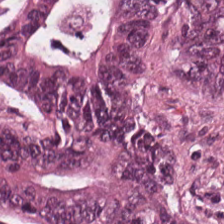Finding — adenocarcinoma.
